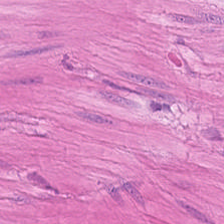H&E stain.
Muscularis.
